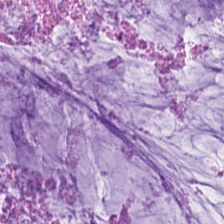This field is mucin.
